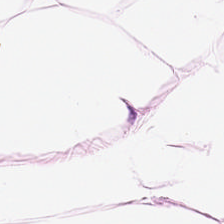H&E — adipocytes.
